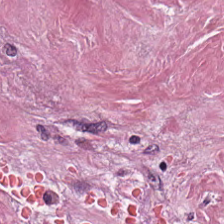Showing cancer-associated stroma.
